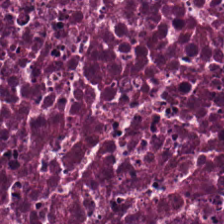Hematoxylin-and-eosin stained section.
Cellular debris.
